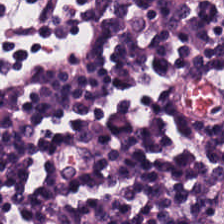H&E stain.
Finding → lymphoid infiltrate.
